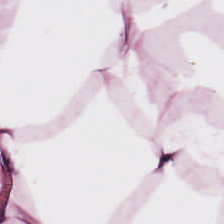Fat tissue.
